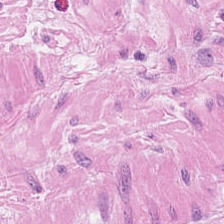H&E stain — Tissue = smooth muscle.
